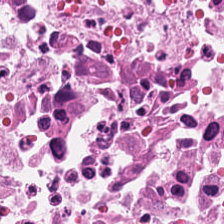Stain: hematoxylin and eosin.
Acquisition: whole-slide-image patch.
Classification: cellular debris.
